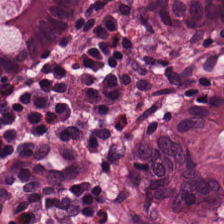H&E. Q: Identify the tissue.
A: Benign colonic mucosa.
